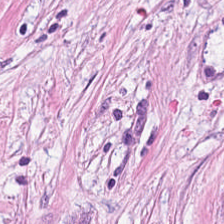The tissue here is desmoplastic stroma.
